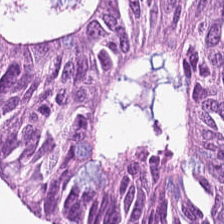Whole-slide-image patch; H&E-stained tissue section.
Histology → colorectal adenocarcinoma epithelium.
